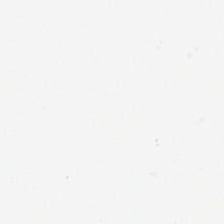Stain: hematoxylin-and-eosin stained section.
Content: background (no tissue).
